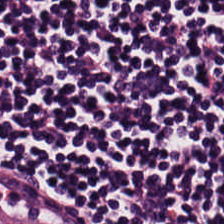224×224 px patch; H&E. The tissue here is lymphoid infiltrate.
